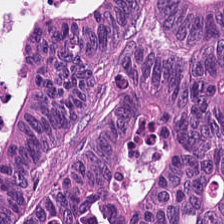224×224 px patch · H&E stain — The tissue here is adenocarcinoma.
